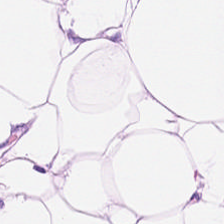Stain: hematoxylin-and-eosin stained section.
Tissue: adipose tissue.
